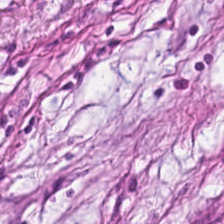224×224 px patch · hematoxylin-and-eosin stained section — The predominant tissue is desmoplastic stroma.
